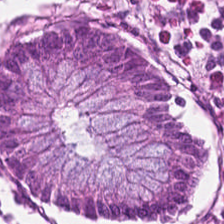Q: What is shown here?
A: This is normal colon mucosa.
